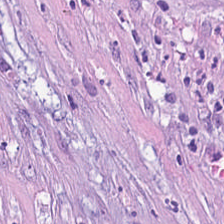20× equivalent magnification. H&E. Formalin-fixed paraffin-embedded section — Tissue type = desmoplastic stroma.
